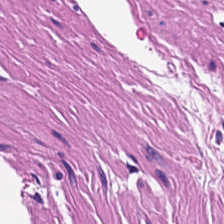H&E-stained section; the field shows muscularis.
